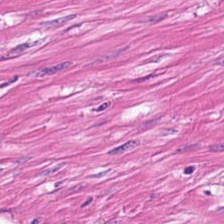Hematoxylin and eosin — Classification: smooth-muscle tissue.
